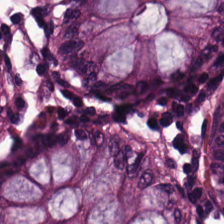H&E-stained section; the field shows normal colon mucosa.
